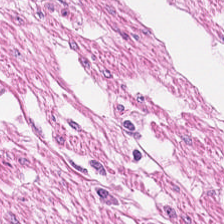H&E-stained tissue section.
Predominantly smooth muscle.
